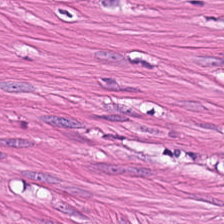0.5 µm per pixel. Hematoxylin-and-eosin stained section. Impression → smooth-muscle tissue.
